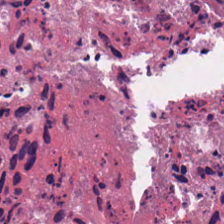H&E. 224×224 pixel tile. Finding — necrotic debris.
